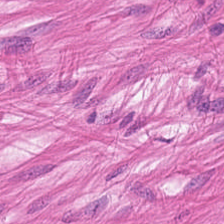Predominantly smooth muscle.
